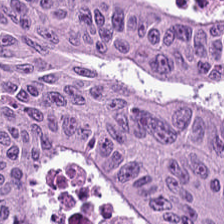Stain: hematoxylin-and-eosin stained section.
Predominant tissue: malignant epithelium.
